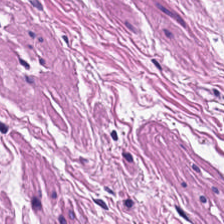H&E stain.
Predominantly smooth-muscle tissue.
